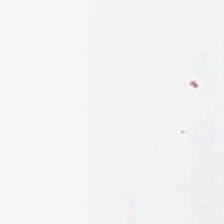H&E stain. Content: background.
